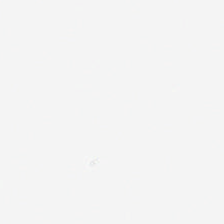Stain: H&E-stained tissue section.
Field content: background.
